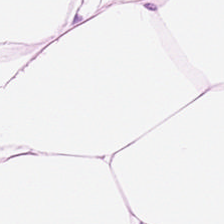H&E stain. Finding — adipose tissue.
